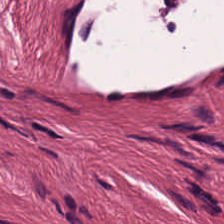Q: Classify this patch.
A: The field shows desmoplastic stroma.
